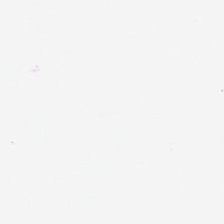Stain: H&E-stained tissue section.
Tile size: 224×224 px tile.
Field content: no tissue.
